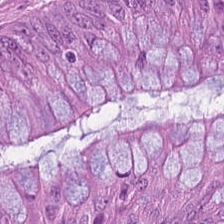0.5 microns per pixel; 224×224 pixel tile; H&E-stained tissue section — Showing adenocarcinoma.
